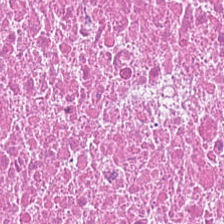Stain: H&E-stained tissue section.
Tissue type: necrotic debris.
